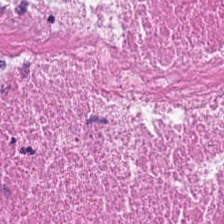Hematoxylin-and-eosin stained section.
This patch shows debris.
